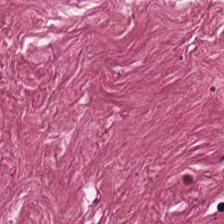The tissue is tumor-associated stroma.
